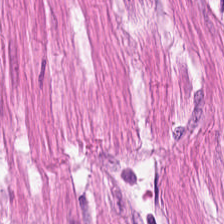Stain: hematoxylin-and-eosin stained section.
Tissue: smooth-muscle tissue.
